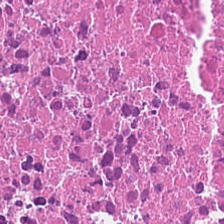224×224 px patch; H&E stain — The predominant tissue is debris.
